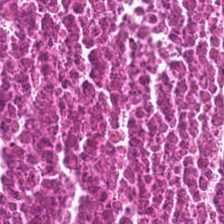Stain: hematoxylin-and-eosin stained section.
Tissue: necrotic debris.
